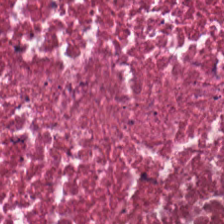H&E; 224×224 px patch; 0.5 µm/px.
The tissue is cellular debris.
